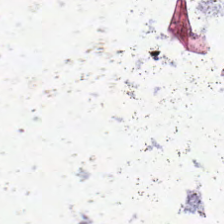224×224 px patch. Whole-slide-image patch. H&E stain — Q: What does this patch show?
A: Background.
